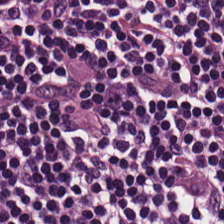FFPE; H&E stain — The tissue here is lymphocyte aggregate.
